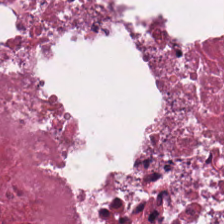H&E stain — Q: What tissue type is shown here?
A: It is cellular debris.
